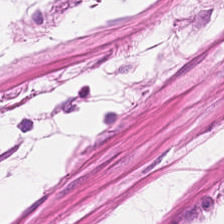H&E-stained tissue section — Tissue type — smooth-muscle tissue.
